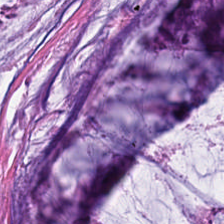H&E.
Histology → mucin.
